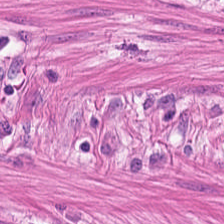Brightfield microscopy · H&E. {"tissue_type": "muscularis"}
